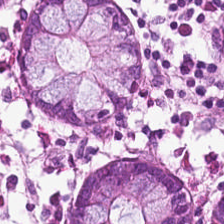H&E. 0.5 µm per pixel.
{"tissue_type": "benign colonic mucosa"}
